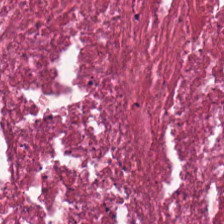H&E-stained tissue section showing debris.
